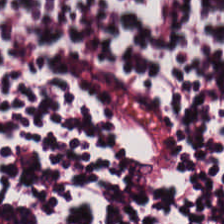224×224 px patch · FFPE tissue section · H&E.
This field is lymphocytic infiltrate.
